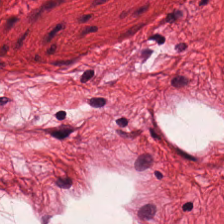H&E. FFPE. 224×224 px tile. Q: What is the predominant tissue type?
A: This is smooth muscle.
